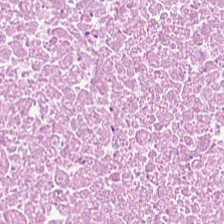Stain: H&E-stained tissue section.
Predominant tissue: necrotic debris.
